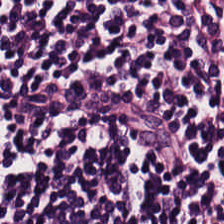H&E — Q: What is the predominant tissue type?
A: This is lymphocytic infiltrate.
